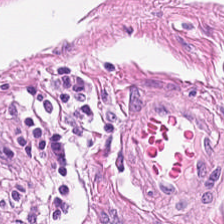H&E — This patch shows smooth-muscle tissue.
